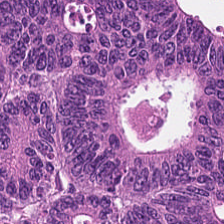H&E-stained tissue section — Predominantly colorectal adenocarcinoma.
